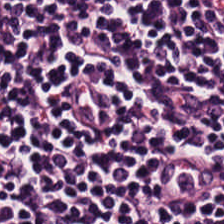The classification is lymphoid infiltrate.
